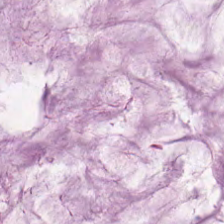WSI patch. 224×224 pixel tile. Hematoxylin-and-eosin stained section.
Q: Classify this patch.
A: The field shows mucin.
